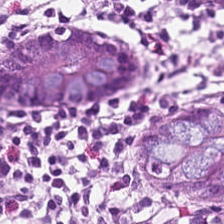Predominant tissue: non-neoplastic colon mucosa.
